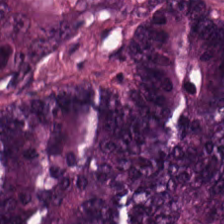H&E stain.
This patch shows tumor epithelium.
